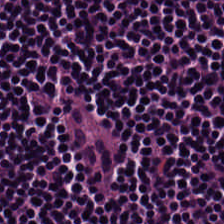224×224 pixel tile; H&E stain.
This patch shows lymphocytes.
